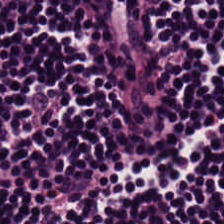Stain: hematoxylin-and-eosin stained section.
Acquisition: whole-slide-image patch.
Preparation: FFPE.
Tissue: lymphocyte aggregate.
